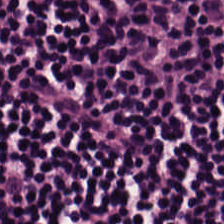H&E-stained tissue section.
Classification: lymphoid infiltrate.
